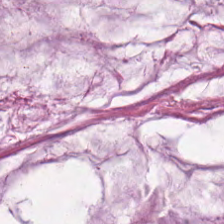H&E. The predominant tissue is mucin.
